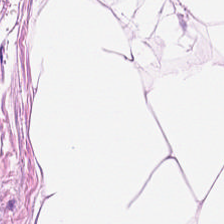0.5 microns per pixel. H&E-stained tissue section. 224×224 pixel tile — Tissue class = adipocytes.
